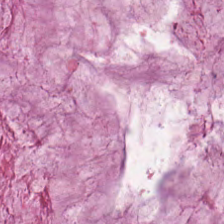0.5 µm/px · formalin-fixed paraffin-embedded section · hematoxylin-and-eosin stained section. Predominant tissue: mucin.
